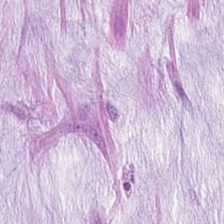Histology — extracellular mucin.
